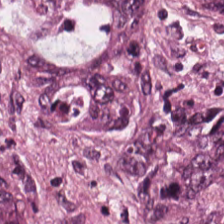Hematoxylin and eosin. Q: What is shown in this field?
A: This is malignant epithelium.
